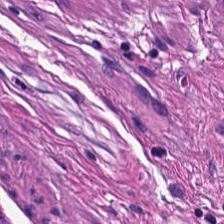Hematoxylin-and-eosin stained section; WSI patch — Predominantly smooth-muscle tissue.
